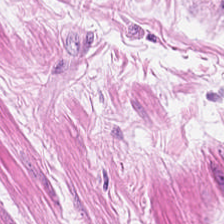Predominant tissue — smooth-muscle tissue.
